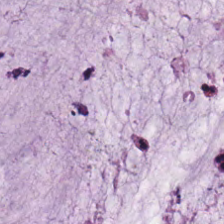H&E stain.
This patch shows mucin.
